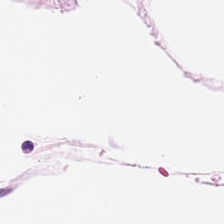0.5 µm per pixel · H&E stain · FFPE. Histology → adipose.
